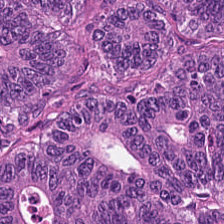0.5 microns per pixel. Hematoxylin and eosin — Q: Identify the tissue.
A: It is tumor epithelium.
